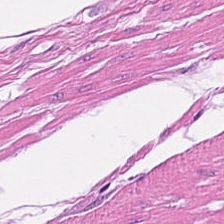H&E stain.
Classification — smooth muscle.
